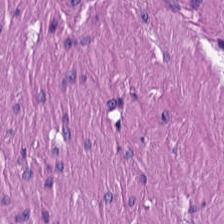Q: What does this patch show?
A: The field shows smooth muscle.
